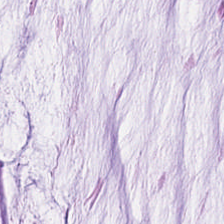{"tissue_type": "extracellular mucin"}
